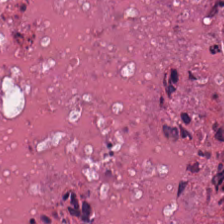Hematoxylin-and-eosin stained section. The tissue here is debris.
